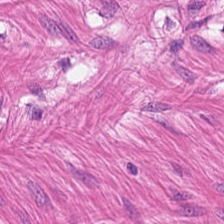Whole-slide-image patch. Hematoxylin-and-eosin stained section.
The tissue here is smooth muscle.
